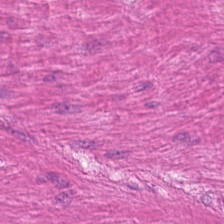0.5 µm/px; hematoxylin-and-eosin stained section — Finding — muscularis.
